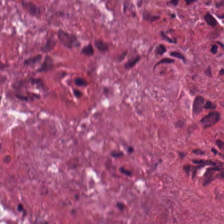FFPE · hematoxylin and eosin · whole-slide-image patch — Q: What type of tissue is this?
A: This is debris.
